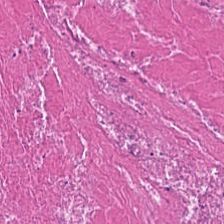Debris.
